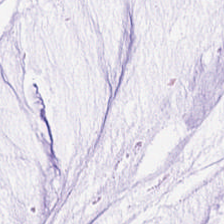224×224 px patch · H&E-stained tissue section.
The tissue here is mucus.
